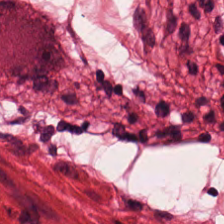H&E stain.
Showing smooth muscle.
